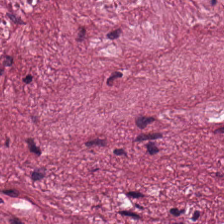Stain: hematoxylin and eosin.
Preparation: FFPE.
Classification: cancer-associated stroma.
